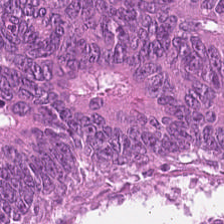FFPE. 224×224 px tile. H&E — Predominant tissue: tumor epithelium.
